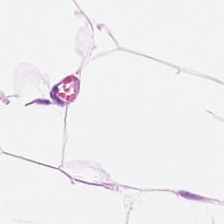Finding — adipose tissue.
